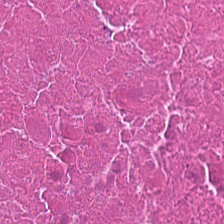H&E · 224×224 px patch. This patch shows debris.
